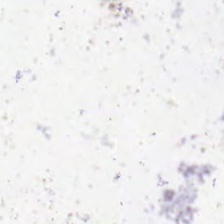Hematoxylin-and-eosin stained section.
Histology → empty background.
